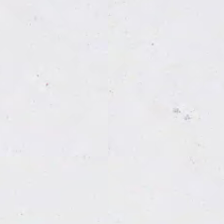Content: empty background.
